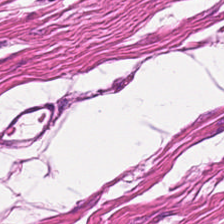Stain: H&E-stained tissue section.
Classification: smooth-muscle tissue.
